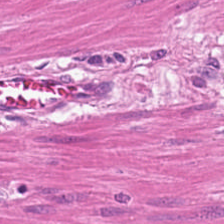H&E-stained tissue section. 0.5 µm/px — Tissue type = smooth-muscle tissue.
